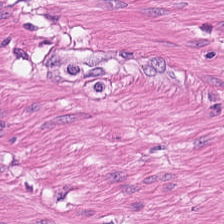H&E. Q: What tissue is shown?
A: This is muscularis.
